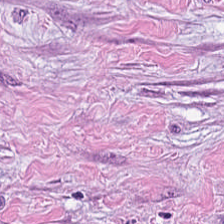H&E · formalin-fixed paraffin-embedded section. The predominant tissue is tumor stroma.
